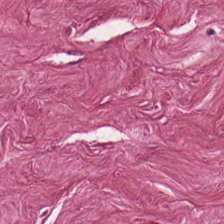Stain: hematoxylin and eosin.
Tissue: desmoplastic stroma.
